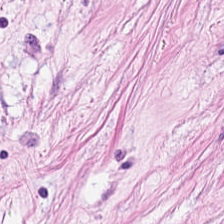H&E; formalin-fixed paraffin-embedded section.
The tissue here is desmoplastic stroma.
